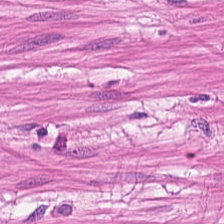H&E-stained tissue section. Q: What does this patch show?
A: It is smooth-muscle tissue.
